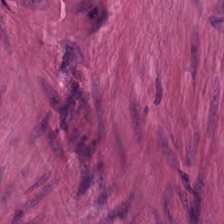Formalin-fixed paraffin-embedded section. Hematoxylin-and-eosin stained section. 0.5 µm per pixel. Predominantly muscularis.
